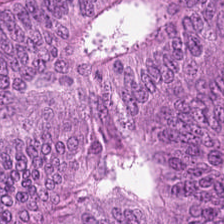Showing tumor epithelium.
